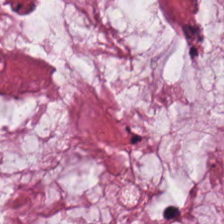H&E. 224×224 px tile.
Mucus.
